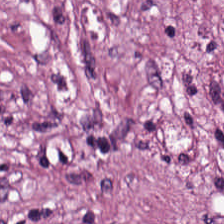Histology → tumor stroma.
